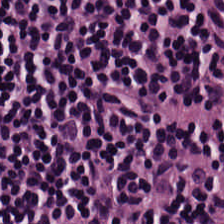Stain: H&E stain.
Preparation: formalin-fixed paraffin-embedded section.
Acquisition: WSI patch.
Tissue type: lymphoid infiltrate.
